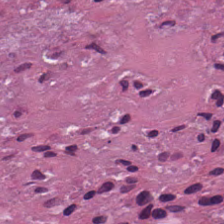0.5 µm/px. Formalin-fixed paraffin-embedded section. H&E-stained tissue section.
The predominant tissue is cellular debris.
